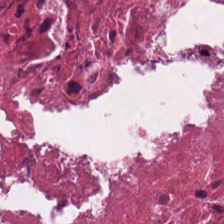H&E patch showing necrotic debris.
